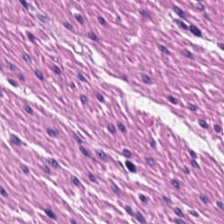Stain: hematoxylin-and-eosin stained section.
Acquisition: brightfield.
Classification: muscularis.
